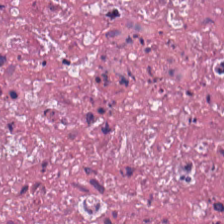Finding — cellular debris.
